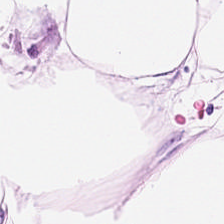Hematoxylin-and-eosin stained section.
The predominant tissue is adipocytes.
